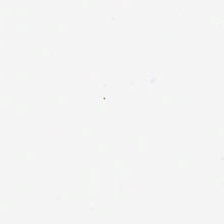H&E — Background — no tissue in this field.
